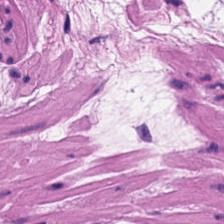H&E; 224×224 pixel tile; FFPE tissue section.
The tissue class is smooth muscle.
